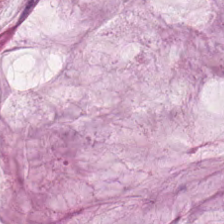Hematoxylin and eosin. This patch shows extracellular mucin.
